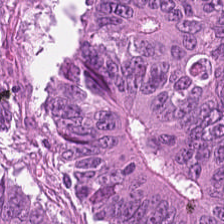Whole-slide-image patch; 0.5 microns per pixel; hematoxylin-and-eosin stained section. The tissue here is tumor epithelium.
